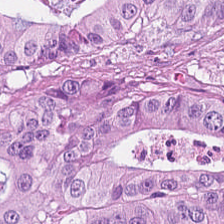H&E stain. Showing adenocarcinoma.
